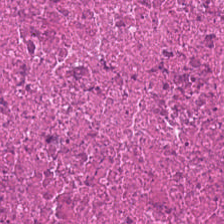H&E stain. The predominant tissue is necrotic debris.
